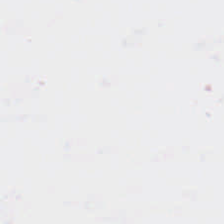Hematoxylin and eosin; formalin-fixed paraffin-embedded section; brightfield microscopy. {"content": "background (no tissue)"}
